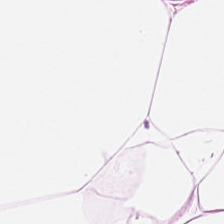H&E stain.
{"tissue_type": "adipose"}
